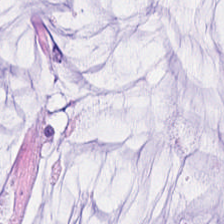20× equivalent magnification. H&E stain.
The classification is mucin.
